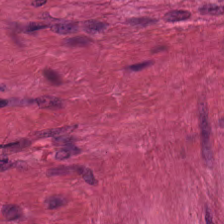Stain: H&E stain.
Tissue class: muscularis.
